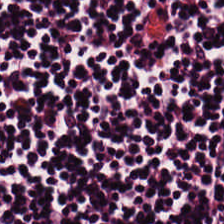Predominantly lymphocytic infiltrate.
